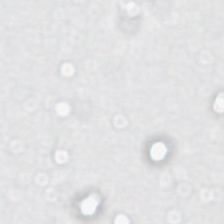Stain: hematoxylin-and-eosin stained section.
Tile size: 224×224 px tile.
Field content: empty background.
